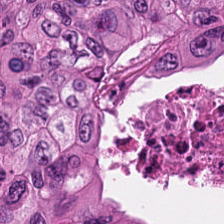The predominant tissue is tumor epithelium.
